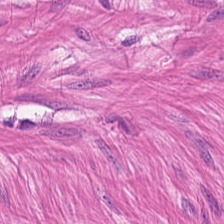Hematoxylin-and-eosin stained section · whole-slide-image patch · 0.5 µm/px.
Predominantly smooth muscle.
